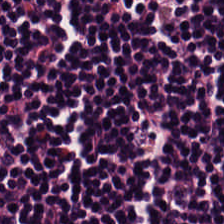H&E-stained tissue section.
This field is lymphocytic infiltrate.
